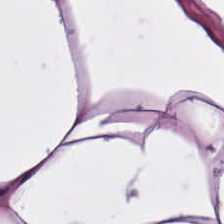H&E-stained tissue section. {"tissue_type": "fat tissue"}
